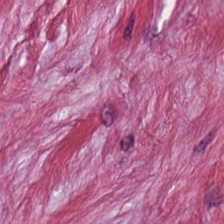Hematoxylin and eosin — Tumor-associated stroma.
